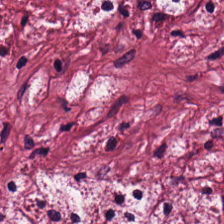224×224 px patch; H&E — This patch shows desmoplastic stroma.
